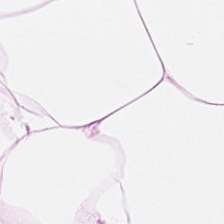Hematoxylin-and-eosin stained section · WSI patch. Q: Identify the tissue.
A: Adipose tissue.
